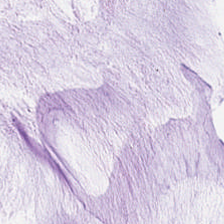Hematoxylin-and-eosin stained section. Mucin.
